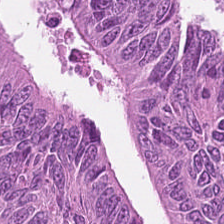H&E-stained tissue section. The tissue class is colorectal adenocarcinoma epithelium.
